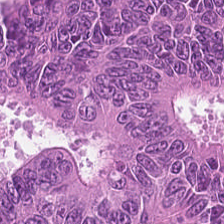Stain: H&E-stained tissue section.
Acquisition: WSI patch.
Tissue class: colorectal adenocarcinoma.
